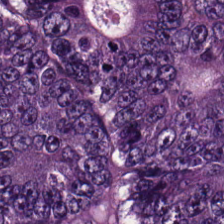Hematoxylin-and-eosin stained section.
This patch shows tumor epithelium.
